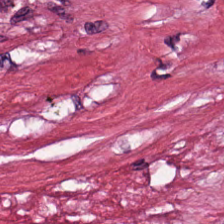Predominantly tumor-associated stroma.
